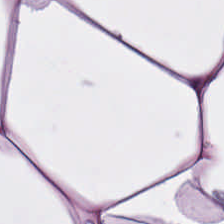Whole-slide-image patch. 224×224 px patch. Hematoxylin and eosin.
Showing adipose tissue.
